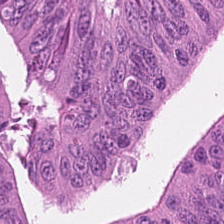Tissue type = tumor epithelium.
